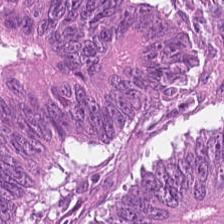H&E-stained tissue section · formalin-fixed paraffin-embedded section.
Showing colorectal adenocarcinoma.
